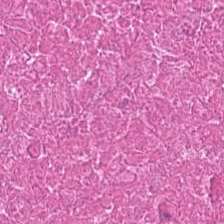Stain: H&E.
Acquisition: brightfield.
Tissue type: debris.
